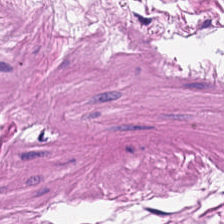Hematoxylin-and-eosin stained section; 0.5 µm/px; FFPE tissue section — Tissue = smooth-muscle tissue.
